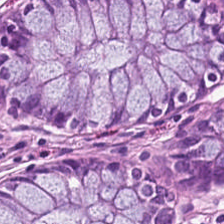Hematoxylin and eosin · brightfield microscopy.
Predominantly normal colonic mucosa.
